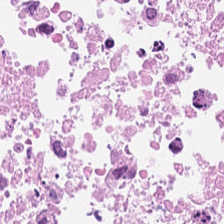224×224 px patch. 0.5 µm per pixel. H&E-stained tissue section.
Cellular debris.
